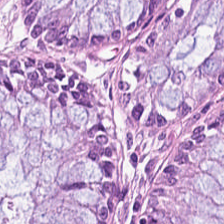H&E-stained tissue section. 0.5 microns per pixel — Predominantly benign colonic mucosa.
